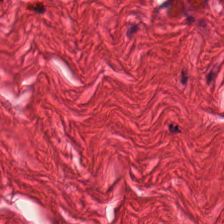0.5 µm/px; H&E; whole-slide-image patch.
Tissue — smooth-muscle tissue.
